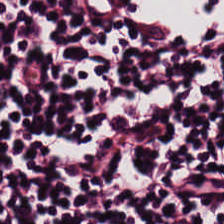Hematoxylin-and-eosin stained section. Showing lymphocyte aggregate.
